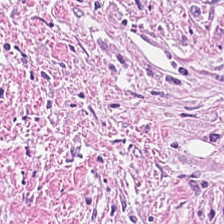H&E stain.
This field is tumor-associated stroma.
